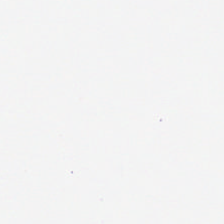Hematoxylin-and-eosin stained section. Background — no tissue in this field.
